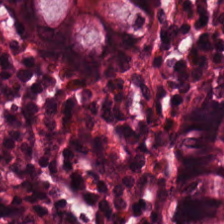Whole-slide-image patch. H&E. Finding → non-neoplastic colon mucosa.
